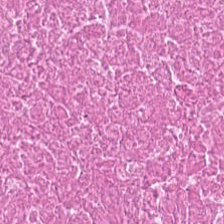Predominantly necrotic debris.
